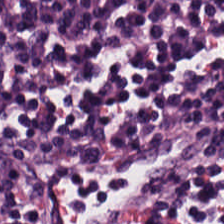Hematoxylin-and-eosin stained section. Q: What is the predominant tissue type?
A: Lymphocytes.
